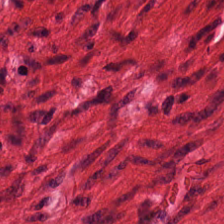Hematoxylin and eosin — Q: What is shown here?
A: Smooth muscle.
